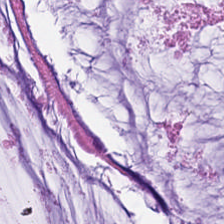Hematoxylin-and-eosin stained section. 224×224 px patch.
Tissue type = mucin.
